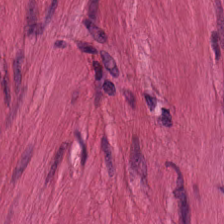Stain: H&E.
Predominant tissue: smooth muscle.
